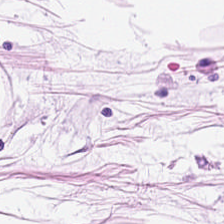Stain: H&E stain.
Resolution: 20× equivalent magnification.
Tissue: adipocytes.
